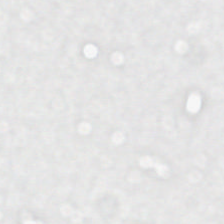H&E stain — The content is no tissue.
